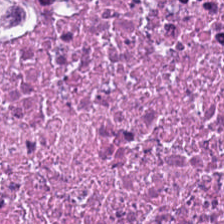Tissue type = debris.
